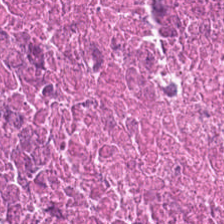Impression → debris.
